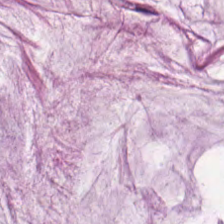Tissue — mucus.
